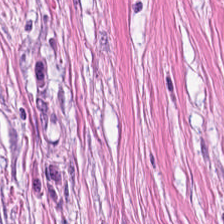H&E stain.
The tissue here is tumor-associated stroma.
